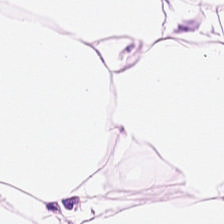The predominant tissue is fat tissue.
